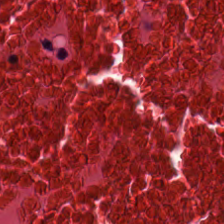FFPE · H&E stain. Predominantly necrotic debris.
